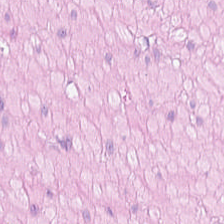H&E stain.
The tissue class is smooth muscle.
